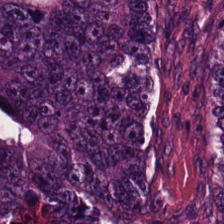Hematoxylin-and-eosin stained section.
Finding — tumor epithelium.
